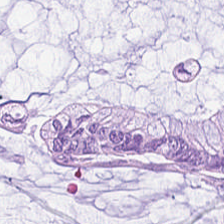FFPE. H&E. Brightfield — Predominantly mucus.
